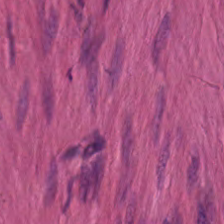{"tissue_type": "smooth-muscle tissue"}
